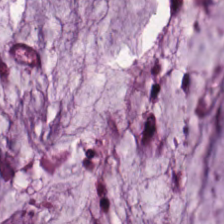Stain: H&E stain.
Tissue: mucus.
